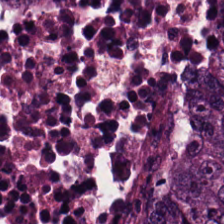The predominant tissue is tumor epithelium.
